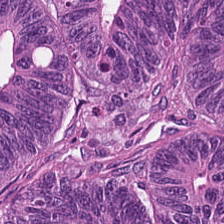Whole-slide-image patch. H&E stain.
The classification is colorectal adenocarcinoma epithelium.
